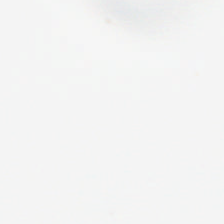Content — background.
